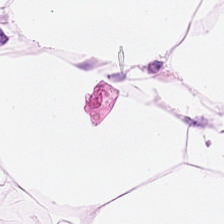224×224 px tile · H&E-stained tissue section · 0.5 µm/px.
Tissue — adipocytes.
